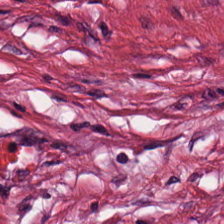FFPE; hematoxylin-and-eosin stained section.
Q: Classify this patch.
A: Tumor stroma.
